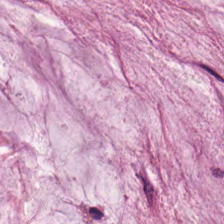20× equivalent magnification · H&E — {"tissue_type": "mucin"}
